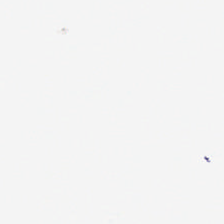H&E.
No tissue present; background only.
